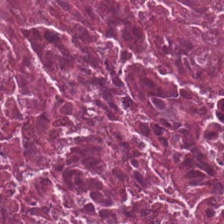Predominantly necrotic debris.
